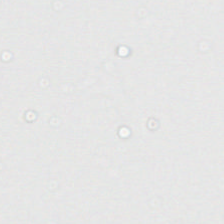H&E stain. Content = background.
